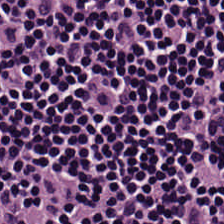H&E-stained tissue section; 0.5 µm/px. Predominantly lymphocytes.
